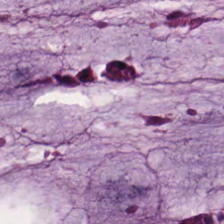Hematoxylin and eosin — Classification = extracellular mucin.
